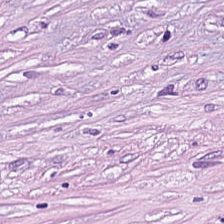H&E stain · brightfield.
Q: What tissue type is shown here?
A: This is cancer-associated stroma.
